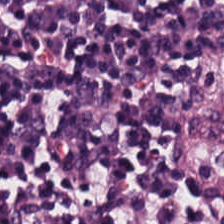Stain: H&E stain.
Resolution: 0.5 microns per pixel.
Tissue type: lymphocytic infiltrate.
